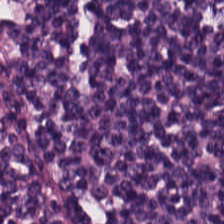FFPE tissue section · hematoxylin-and-eosin stained section. The predominant tissue is lymphocytes.
